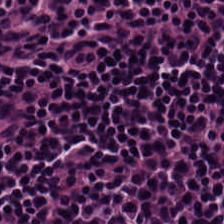Stain: H&E.
Acquisition: whole-slide-image patch.
Classification: lymphocyte aggregate.
